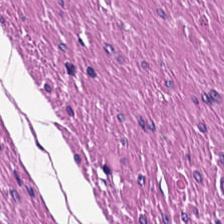Hematoxylin-and-eosin stained section. Predominantly muscularis.
